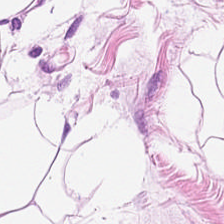Impression — fat tissue.
